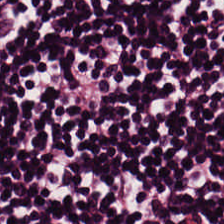The tissue type is lymphocyte aggregate.
